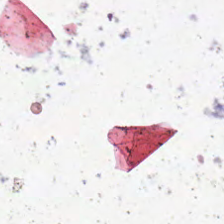H&E — Empty field — background (no tissue).
